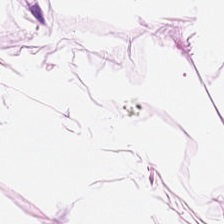Hematoxylin-and-eosin stained section.
This patch shows adipose.
